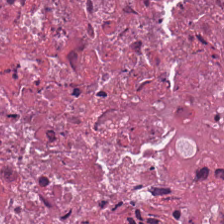H&E.
Tissue type — cellular debris.
